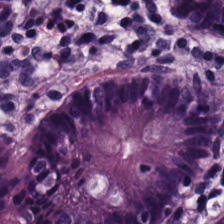H&E; 20× equivalent magnification — The predominant tissue is normal colon mucosa.
